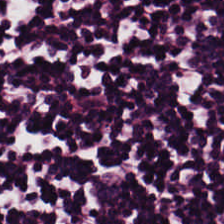0.5 µm/px. Hematoxylin-and-eosin stained section.
Predominantly lymphoid infiltrate.
